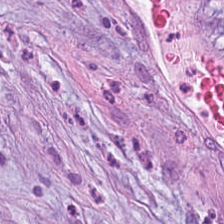Hematoxylin and eosin — This patch shows tumor stroma.
